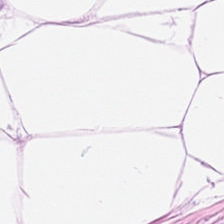H&E-stained tissue section; 224×224 px patch.
Impression → adipose.
